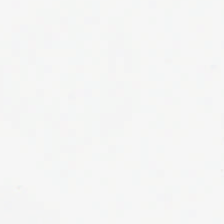H&E. This patch shows empty background.
